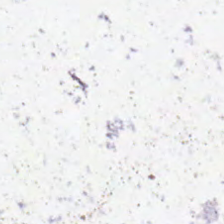Empty field — empty background.
